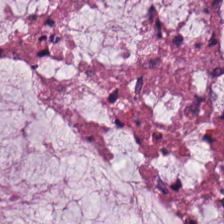H&E — The tissue class is mucus.
